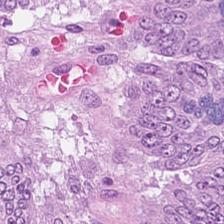Q: What does this patch show?
A: The field shows colorectal adenocarcinoma.
